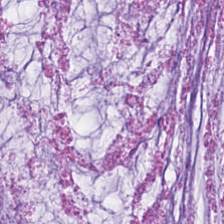Brightfield microscopy. Hematoxylin and eosin — Mucus.
